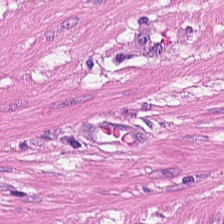Whole-slide-image patch · 0.5 microns per pixel · H&E-stained tissue section. Tissue type — smooth muscle.
